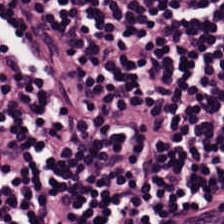{"tissue_type": "lymphocytic infiltrate"}
